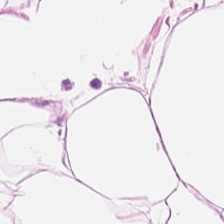224×224 px patch. Hematoxylin-and-eosin stained section. 0.5 µm/px — Showing adipose.
